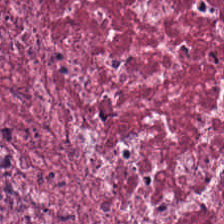Brightfield. Hematoxylin-and-eosin stained section.
Tissue = tumor-associated stroma.
